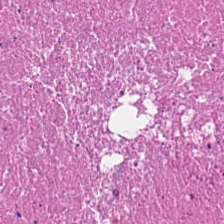H&E. Brightfield microscopy. The predominant tissue is necrotic debris.
